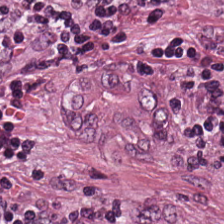H&E stain; brightfield microscopy; 0.5 µm/px — Tissue class — malignant epithelium.
